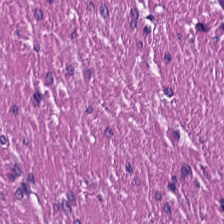Histology — muscularis.
